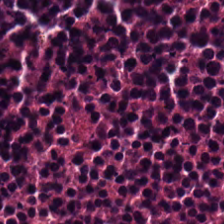H&E — necrotic debris.
